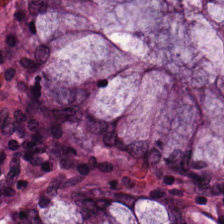H&E-stained tissue section; FFPE; WSI patch.
Q: What does this patch show?
A: The field shows normal colon mucosa.
